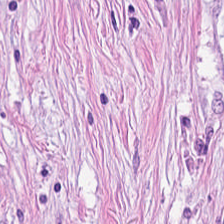H&E stain.
Histology → tumor-associated stroma.
